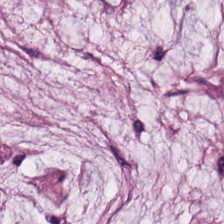Hematoxylin-and-eosin stained section. Formalin-fixed paraffin-embedded section.
Tissue class — mucus.
